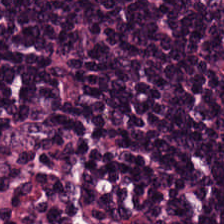FFPE · H&E — Predominantly lymphoid infiltrate.
